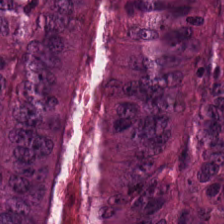224×224 px patch. H&E-stained tissue section — Histology → malignant epithelium.
